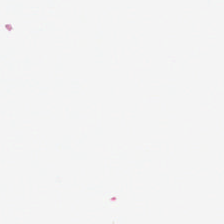Hematoxylin-and-eosin stained section · 224×224 px patch.
Q: Classify this patch.
A: It is background.
